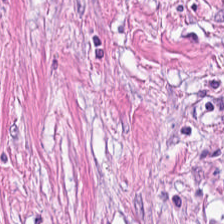H&E — Showing tumor-associated stroma.
